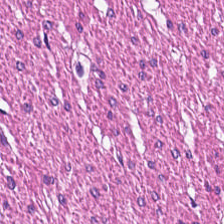Tissue class — muscularis.
